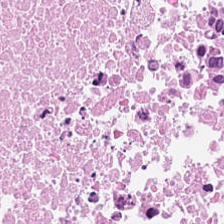Hematoxylin and eosin.
Showing necrotic debris.
